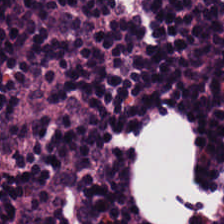Hematoxylin and eosin. 0.5 µm per pixel. Formalin-fixed paraffin-embedded section. The tissue here is lymphocytic infiltrate.
